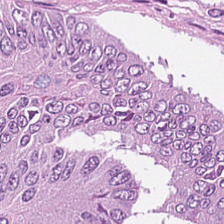Hematoxylin and eosin — {"tissue_type": "colorectal adenocarcinoma"}
